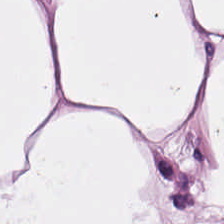Stain: H&E.
Tissue: adipose.
